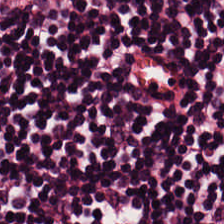Hematoxylin-and-eosin stained section; 0.5 microns per pixel; 224×224 px patch. Lymphocytic infiltrate.
